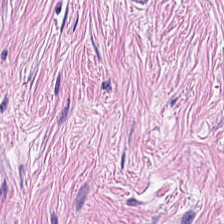Q: What is shown in this field?
A: Tumor stroma.
